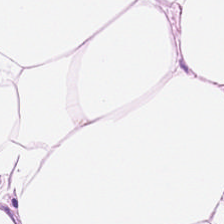Whole-slide-image patch · 20× equivalent magnification · H&E stain.
The predominant tissue is adipocytes.
